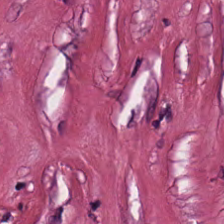224×224 px patch. H&E.
Classification: desmoplastic stroma.
